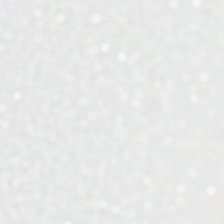Classification: no tissue.
